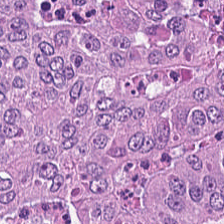Hematoxylin-and-eosin stained section — {"tissue_type": "tumor epithelium"}
